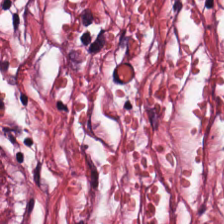Hematoxylin-and-eosin stained section. The predominant tissue is tumor stroma.
